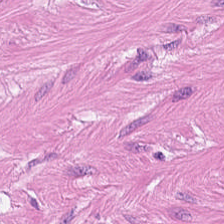Stain: hematoxylin-and-eosin stained section.
Predominant tissue: muscularis.
